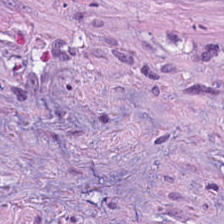H&E; 224×224 px patch.
This field is tumor-associated stroma.
